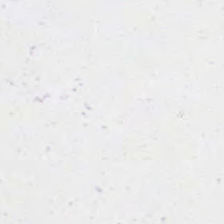H&E — Background.
